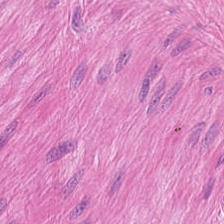Hematoxylin and eosin; brightfield — The predominant tissue is smooth muscle.
